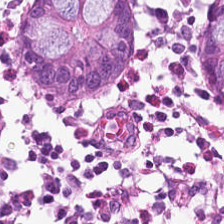Tissue type — normal colon mucosa.
